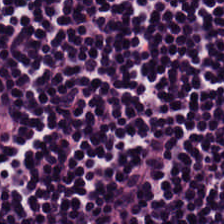H&E-stained tissue section.
Tissue — lymphoid infiltrate.
